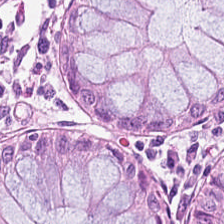Hematoxylin-and-eosin stained section. 20× equivalent magnification.
Showing normal colonic mucosa.
